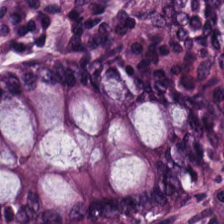Hematoxylin-and-eosin stained section.
Tissue type = benign colonic mucosa.
